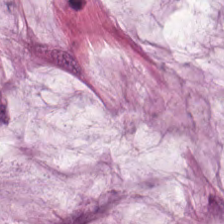H&E — The predominant tissue is mucin.
